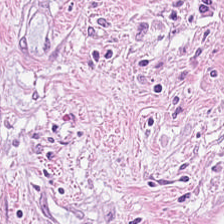Formalin-fixed paraffin-embedded section. H&E.
{"tissue_type": "tumor-associated stroma"}
